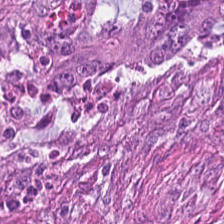H&E — colorectal adenocarcinoma.
